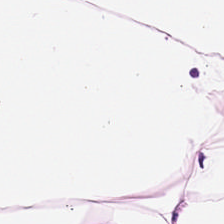H&E-stained tissue section. Q: Identify the tissue.
A: It is adipocytes.
